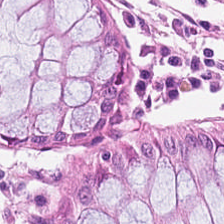H&E-stained tissue section — Showing non-neoplastic colon mucosa.
